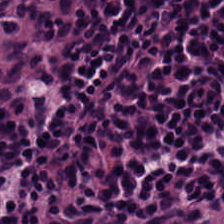Hematoxylin-and-eosin stained section.
Impression → lymphocyte aggregate.
